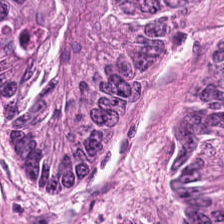224×224 pixel tile. H&E.
Q: What is shown in this field?
A: The field shows malignant epithelium.
